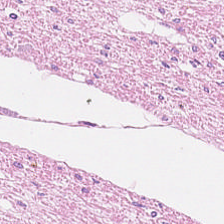Hematoxylin-and-eosin stained section. Formalin-fixed paraffin-embedded section.
Smooth-muscle tissue.
